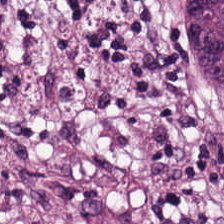Hematoxylin and eosin.
Predominant tissue: desmoplastic stroma.
